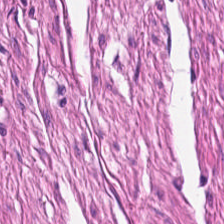Showing smooth-muscle tissue.
